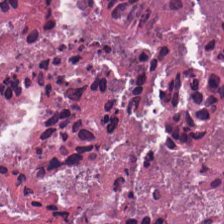Necrotic debris.
